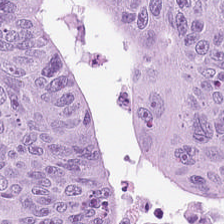Hematoxylin and eosin — Predominant tissue: malignant epithelium.
